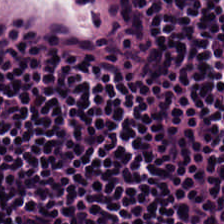The predominant tissue is lymphocyte aggregate.
